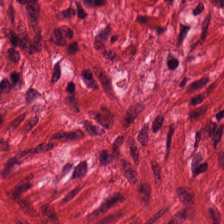H&E-stained tissue section showing muscularis.
